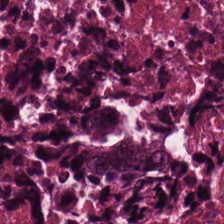{"tissue_type": "necrotic debris"}
